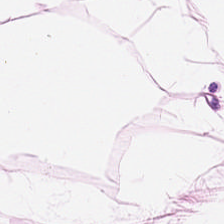This field is adipose tissue.
